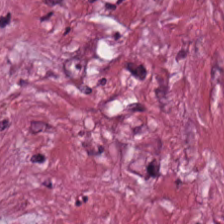224×224 px patch · H&E · brightfield microscopy.
Q: What is shown in this field?
A: It is tumor stroma.
